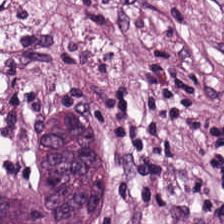224×224 px patch. 0.5 µm per pixel. Hematoxylin-and-eosin stained section.
Q: Identify the tissue.
A: This is tumor stroma.
